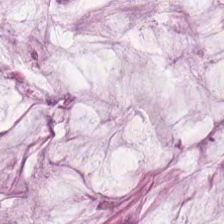Brightfield. Hematoxylin-and-eosin stained section — Q: What tissue type is shown here?
A: This is mucus.
